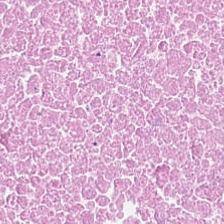H&E stain; formalin-fixed paraffin-embedded section; whole-slide-image patch — The predominant tissue is debris.
